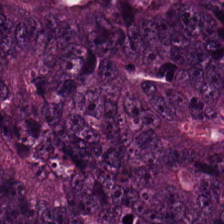Q: What type of tissue is this?
A: It is colorectal adenocarcinoma epithelium.
